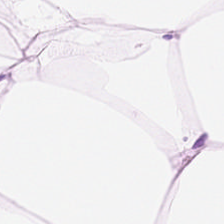H&E; 224×224 px patch — Histology — adipose.
